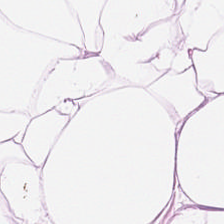Hematoxylin and eosin.
Tissue type = fat tissue.
